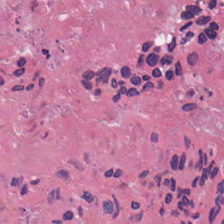H&E stain.
Tissue type — cellular debris.
